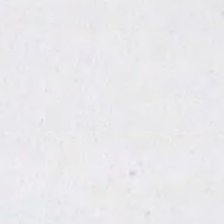Classification: background (no tissue).
